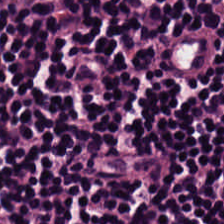Hematoxylin and eosin. 224×224 px patch.
{"tissue_type": "lymphocytic infiltrate"}
